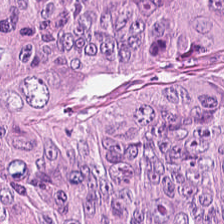H&E-stained tissue section.
Q: Identify the tissue.
A: It is adenocarcinoma.
